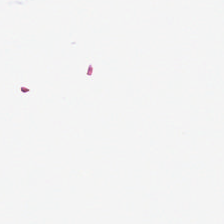The field content is empty background.
